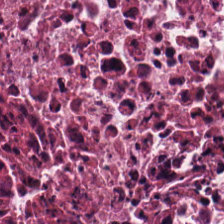224×224 px patch; hematoxylin-and-eosin stained section. Histology → necrotic debris.
